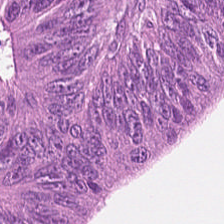Predominant tissue: colorectal adenocarcinoma.
